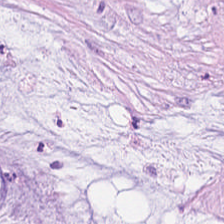Classification = mucus.
